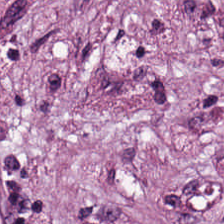H&E — Showing desmoplastic stroma.
